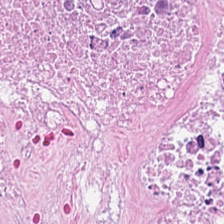Hematoxylin-and-eosin stained section. Cellular debris.
